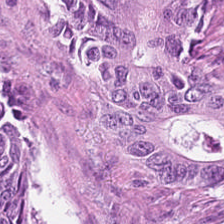FFPE tissue section · 224×224 px patch · hematoxylin and eosin.
Impression — adenocarcinoma.
